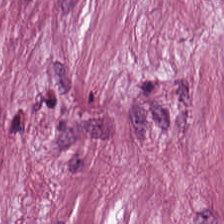Hematoxylin-and-eosin stained section. Q: What type of tissue is this?
A: This is cancer-associated stroma.
